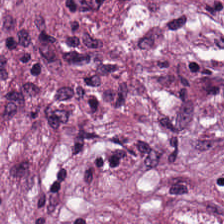Stain: H&E.
Tissue: tumor-associated stroma.
